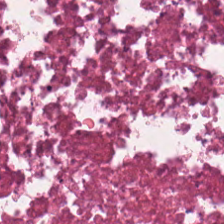H&E-stained tissue section.
This field is debris.
